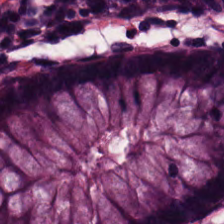Classification: non-neoplastic colon mucosa.
